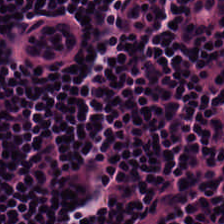H&E stain. Classification: lymphocyte aggregate.
